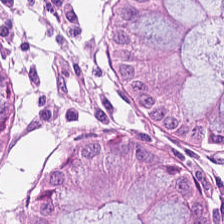The tissue here is benign colonic mucosa.
